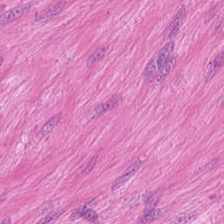Smooth muscle.
